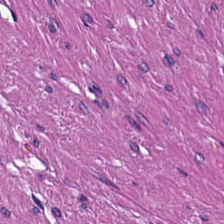0.5 µm per pixel; H&E — This field is smooth-muscle tissue.
